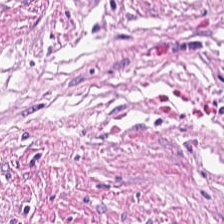H&E. 0.5 µm/px. Brightfield microscopy.
Predominant tissue: tumor-associated stroma.
